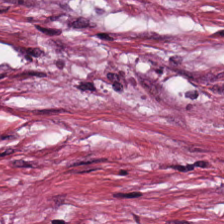Stain: hematoxylin and eosin.
Acquisition: whole-slide-image patch.
Preparation: FFPE.
Classification: tumor-associated stroma.
